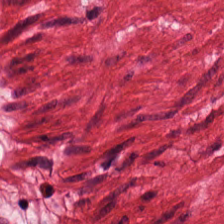Q: What tissue is shown?
A: The field shows smooth muscle.
